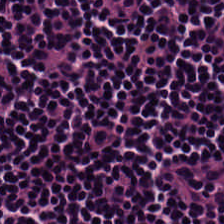Predominantly lymphocytes.
